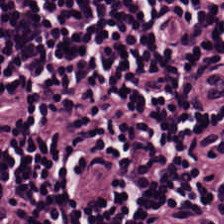FFPE tissue section. Hematoxylin and eosin — Showing lymphocyte aggregate.
